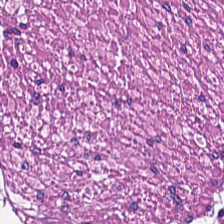H&E. This patch shows muscularis.
